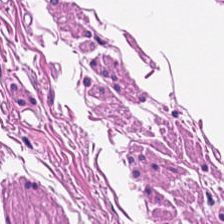Brightfield microscopy · 0.5 µm/px · H&E-stained tissue section.
The tissue type is smooth muscle.
